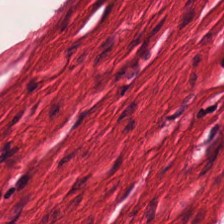H&E patch showing smooth-muscle tissue.
